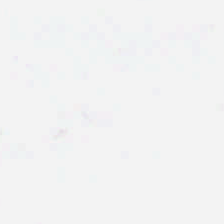Classification: empty background.
